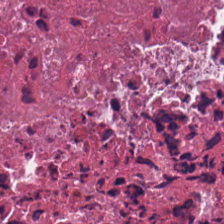{"tissue_type": "cellular debris"}
